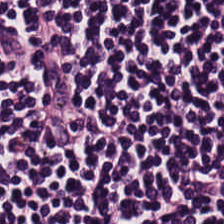Stain: hematoxylin-and-eosin stained section.
Classification: lymphocytic infiltrate.
